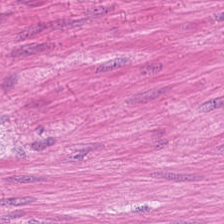224×224 pixel tile. H&E-stained tissue section. The predominant tissue is muscularis.
